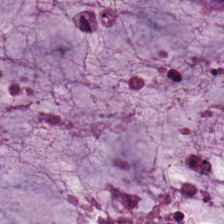Stain: H&E.
Resolution: 0.5 µm per pixel.
Tile size: 224×224 px patch.
Predominant tissue: extracellular mucin.
